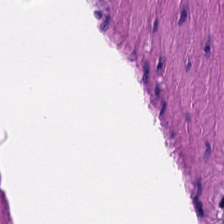Hematoxylin-and-eosin stained section.
The tissue class is smooth muscle.
